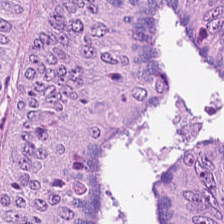H&E stain. The tissue is tumor epithelium.
